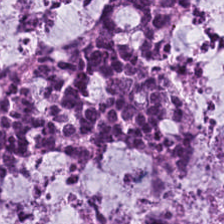The tissue here is mucus.
